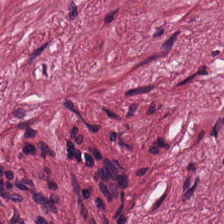Hematoxylin-and-eosin stained section — This patch shows tumor stroma.
